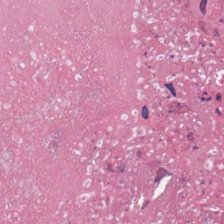Hematoxylin and eosin.
The predominant tissue is necrotic debris.
